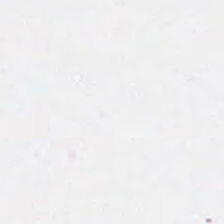H&E stain — {"content": "background (no tissue)"}
